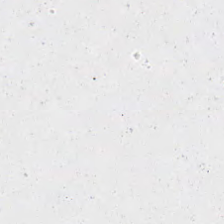Hematoxylin and eosin; 224×224 px tile. Classification: no tissue.
